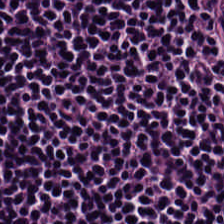H&E stain. FFPE. 20× equivalent magnification.
This field is lymphocytes.
